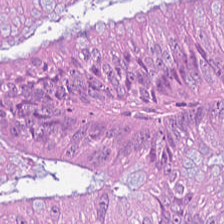Hematoxylin and eosin.
Tissue class = colorectal adenocarcinoma.
